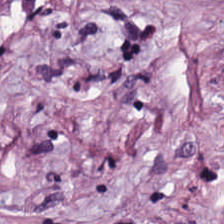0.5 µm per pixel. H&E-stained tissue section. FFPE tissue section.
Predominantly tumor stroma.
